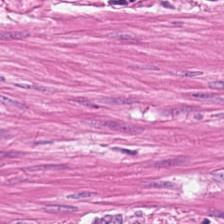H&E stain — Tissue = muscularis.
